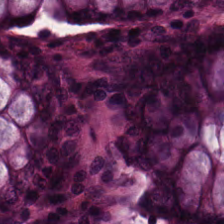Brightfield; 0.5 µm/px; H&E-stained tissue section.
Normal colonic mucosa.
